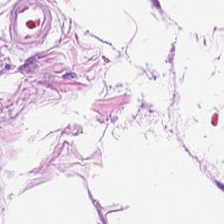H&E · FFPE tissue section. Tissue class — adipose.
